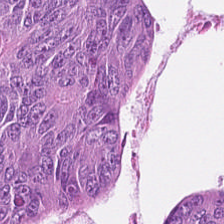Stain: H&E stain.
Tile size: 224×224 px tile.
Resolution: 0.5 µm per pixel.
Classification: colorectal adenocarcinoma epithelium.
